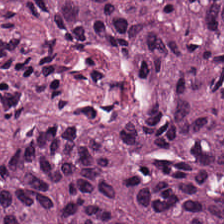Stain: H&E-stained tissue section.
Acquisition: WSI patch.
Predominant tissue: colorectal adenocarcinoma epithelium.
